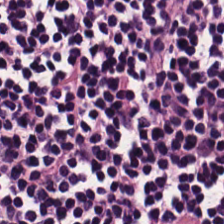H&E-stained section; the field shows lymphocytes.
